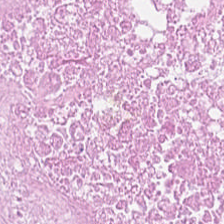H&E-stained tissue section. Necrotic debris.
